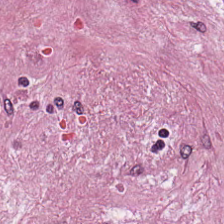Hematoxylin and eosin. Predominantly tumor-associated stroma.
